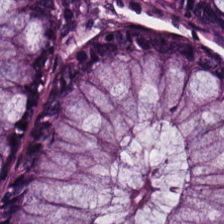0.5 microns per pixel · FFPE · hematoxylin and eosin.
This field is benign colonic mucosa.
